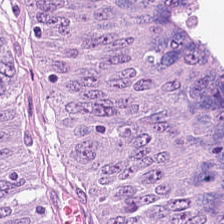224×224 px patch · FFPE · H&E — Q: What does this patch show?
A: It is colorectal adenocarcinoma epithelium.
